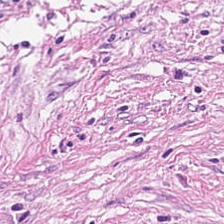Q: What is shown here?
A: It is cancer-associated stroma.
